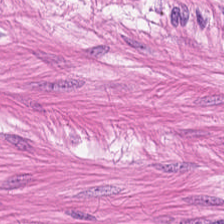Finding → muscularis.
